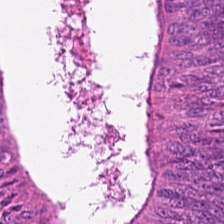Formalin-fixed paraffin-embedded section · hematoxylin-and-eosin stained section.
Histology → tumor epithelium.
